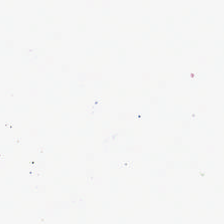224×224 px tile. Hematoxylin and eosin — No tissue present; background only.
